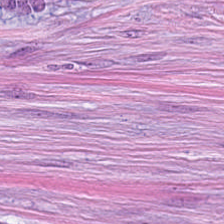Q: What is shown in this field?
A: Desmoplastic stroma.
